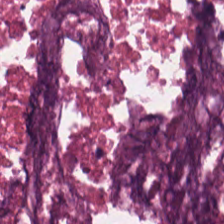Whole-slide-image patch · FFPE tissue section · H&E-stained tissue section — Q: What type of tissue is this?
A: Necrotic debris.
